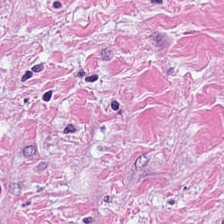H&E-stained tissue section. 224×224 px tile — Q: What is the predominant tissue type?
A: The field shows tumor-associated stroma.
